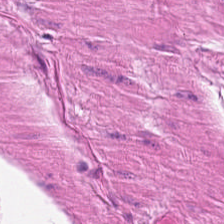FFPE tissue section; hematoxylin and eosin — Histology — smooth-muscle tissue.
